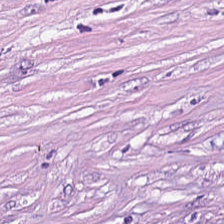Showing cancer-associated stroma.
